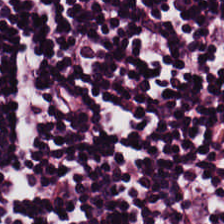H&E-stained tissue section. Finding — lymphoid infiltrate.
